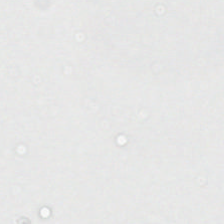Impression — no tissue.
